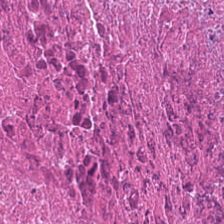Hematoxylin-and-eosin stained section. Cellular debris.
